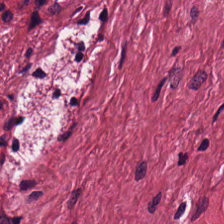Hematoxylin and eosin — This patch shows cancer-associated stroma.
